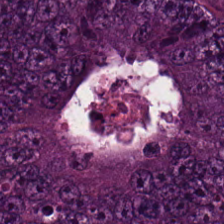Stain: H&E-stained tissue section.
Predominant tissue: tumor epithelium.
